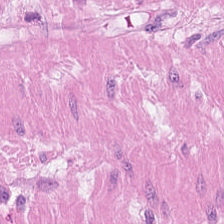Hematoxylin and eosin. Predominantly smooth-muscle tissue.
